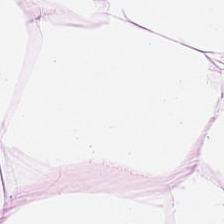H&E stain · FFPE. Q: What tissue is shown?
A: Adipocytes.
